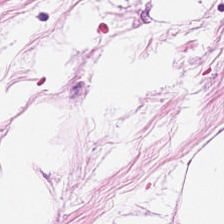H&E stain; brightfield. Predominant tissue — adipose tissue.
